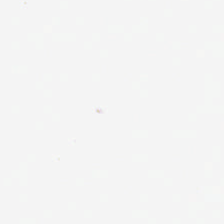20× equivalent magnification; H&E; formalin-fixed paraffin-embedded section.
The content is background (no tissue).
